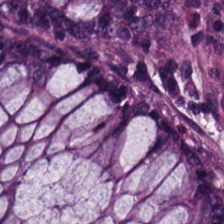H&E-stained tissue section; 0.5 microns per pixel. This patch shows non-neoplastic colon mucosa.
